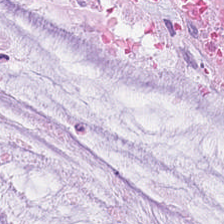Stain: H&E stain.
Acquisition: brightfield.
Tissue class: mucus.
